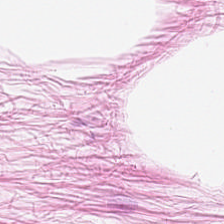H&E stain · 0.5 µm per pixel.
Tissue class: adipose.
